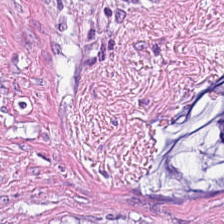The predominant tissue is tumor stroma.
